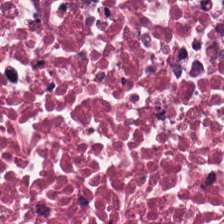H&E. This field is necrotic debris.
